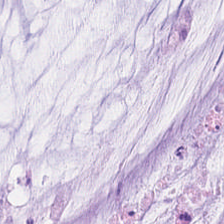Histology → mucus.
